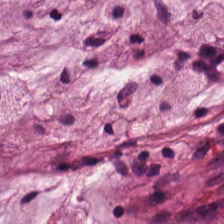H&E stain. 20× equivalent magnification. Tissue class = mucus.
